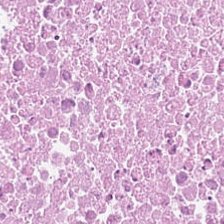Brightfield · 0.5 microns per pixel · hematoxylin-and-eosin stained section.
The tissue here is necrotic debris.
